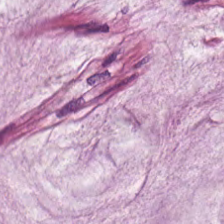Hematoxylin and eosin. Mucus.
